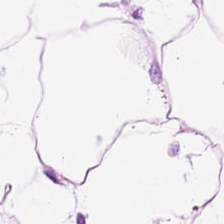H&E-stained tissue section. FFPE tissue section. Q: Classify this patch.
A: It is adipose tissue.
